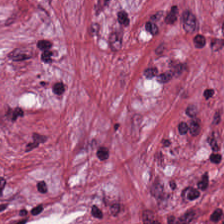H&E — This patch shows desmoplastic stroma.
